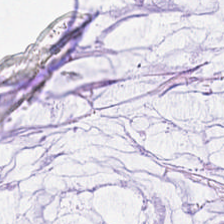0.5 µm per pixel. H&E-stained tissue section.
The predominant tissue is extracellular mucin.
